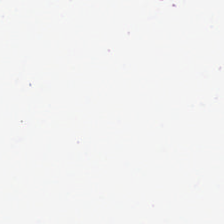0.5 microns per pixel. H&E.
Empty field — no tissue.
